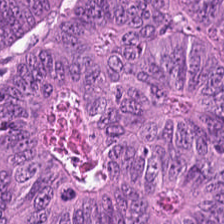Hematoxylin-and-eosin stained section · 224×224 px patch. The tissue here is adenocarcinoma.
